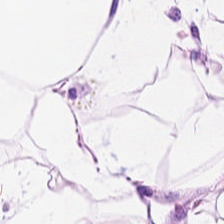Stain: hematoxylin and eosin.
Classification: adipose.
